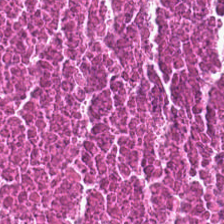Formalin-fixed paraffin-embedded section. H&E-stained tissue section — Showing necrotic debris.
